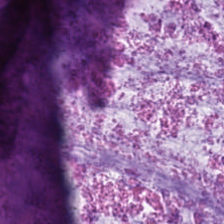Stain: hematoxylin-and-eosin stained section.
Tissue type: mucus.
